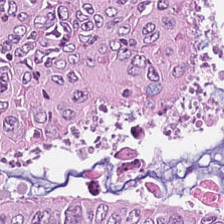Formalin-fixed paraffin-embedded section. Hematoxylin-and-eosin stained section — The predominant tissue is colorectal adenocarcinoma epithelium.
